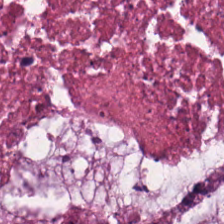H&E stain · whole-slide-image patch.
Impression — cellular debris.
